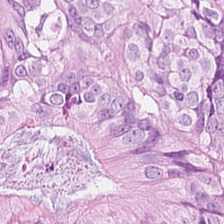0.5 microns per pixel · hematoxylin-and-eosin stained section. {"tissue_type": "colorectal adenocarcinoma epithelium"}
